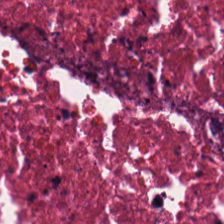Stain: hematoxylin-and-eosin stained section.
Preparation: FFPE tissue section.
Tile size: 224×224 pixel tile.
Tissue class: necrotic debris.
